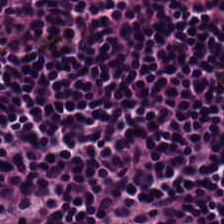H&E; brightfield microscopy; FFPE — Classification: lymphocyte aggregate.
